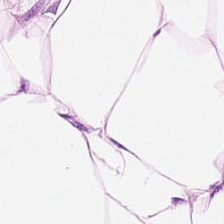0.5 µm per pixel · H&E.
Fat tissue.
